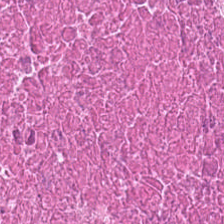Hematoxylin and eosin — Q: Classify this patch.
A: It is debris.
